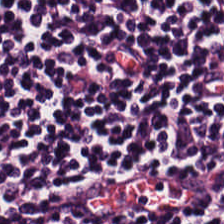H&E stain.
Histology — lymphocytic infiltrate.
